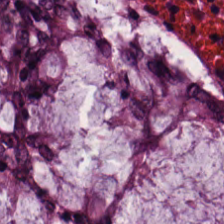Hematoxylin-and-eosin section: non-neoplastic colon mucosa.
